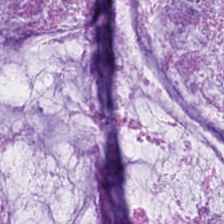H&E-stained tissue section — Q: What is shown in this field?
A: It is mucus.
